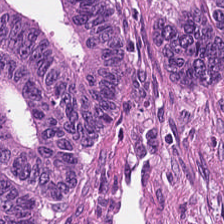Hematoxylin and eosin — Predominantly adenocarcinoma.
